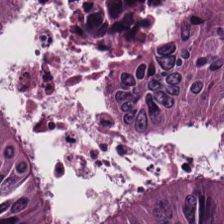Stain: H&E-stained tissue section.
Preparation: FFPE tissue section.
Resolution: 20× equivalent magnification.
Tissue class: colorectal adenocarcinoma epithelium.
